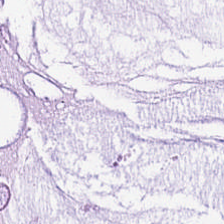0.5 µm/px. H&E-stained tissue section — Predominantly extracellular mucin.
